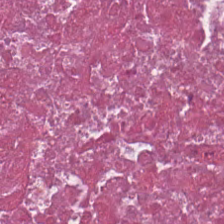Tissue class — necrotic debris.
